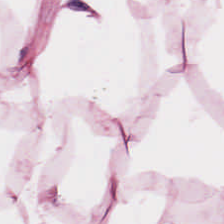Stain: H&E.
Tissue: adipose tissue.
